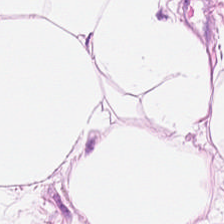H&E. Q: What is the predominant tissue type?
A: This is adipocytes.
